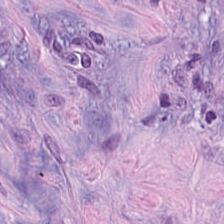H&E — This field is desmoplastic stroma.
